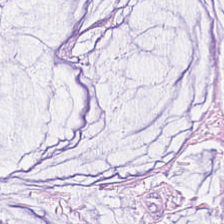Q: What is shown here?
A: Extracellular mucin.
